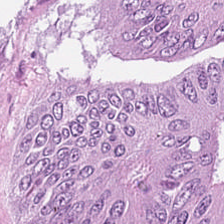Hematoxylin-and-eosin stained section — Showing tumor epithelium.
